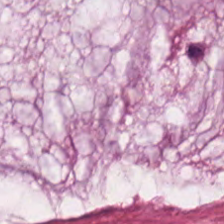Hematoxylin and eosin; FFPE tissue section.
Tissue = mucus.
